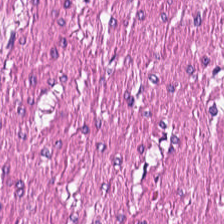{"tissue_type": "smooth-muscle tissue"}
